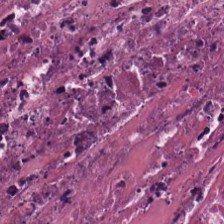Stain: H&E stain.
Tile size: 224×224 px tile.
Tissue class: necrotic debris.
